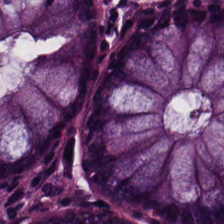Hematoxylin and eosin — Tissue = normal colonic mucosa.
